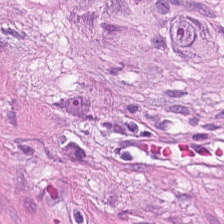Finding — smooth muscle.
